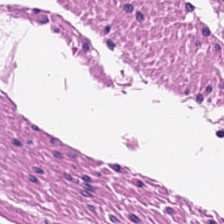H&E — muscularis.
